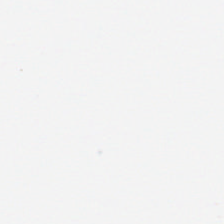Stain: H&E.
Field content: empty background.
